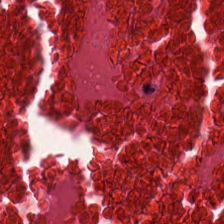Predominant tissue: debris.
